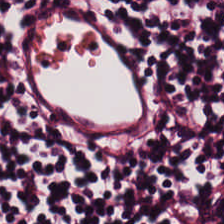H&E stain — Tissue type = lymphocyte aggregate.
